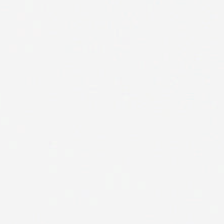Stain: hematoxylin-and-eosin stained section.
Preparation: FFPE.
Tile size: 224×224 px tile.
Content: empty background.
